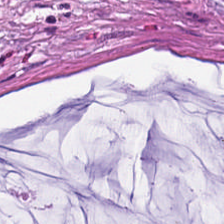Hematoxylin and eosin. Brightfield — Classification = mucin.
